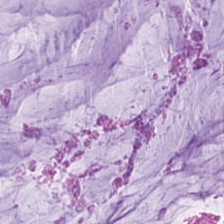H&E stain; brightfield microscopy — The classification is mucus.
